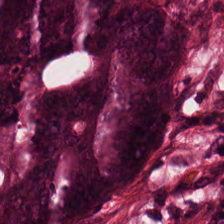Q: What type of tissue is this?
A: The field shows tumor epithelium.
